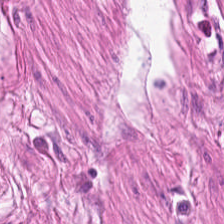Q: What is the predominant tissue type?
A: The field shows smooth-muscle tissue.
